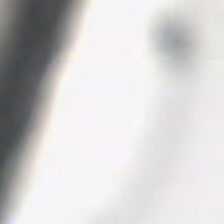Hematoxylin and eosin.
Field content: no tissue.
